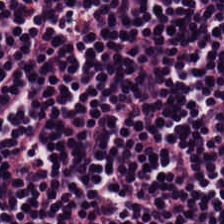224×224 px patch; brightfield microscopy; H&E-stained tissue section — The predominant tissue is lymphocytes.
